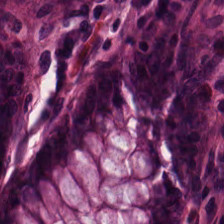H&E-stained tissue section — Showing non-neoplastic colon mucosa.
